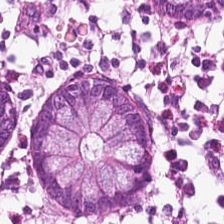Q: What is shown here?
A: It is normal colon mucosa.
